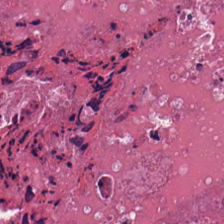H&E-stained section; the field shows cellular debris.
